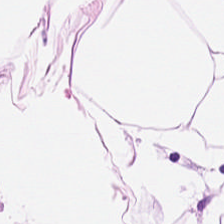Hematoxylin-and-eosin section: adipose tissue.
